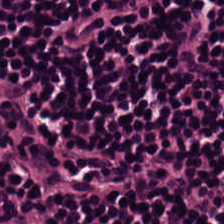H&E. 0.5 µm per pixel — Lymphocytes.
